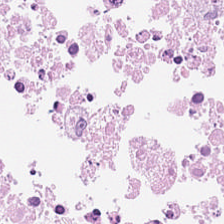H&E stain.
Q: What is shown here?
A: Cellular debris.
